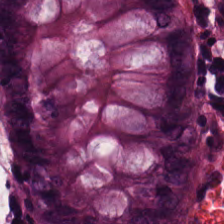Stain: hematoxylin and eosin.
Classification: non-neoplastic colon mucosa.
